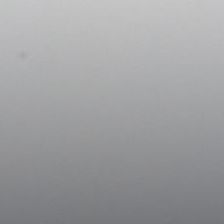H&E.
This patch shows background (no tissue).
